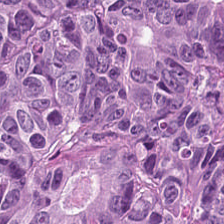Colorectal adenocarcinoma.
